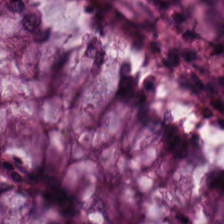H&E stain.
Histology → normal colonic mucosa.
